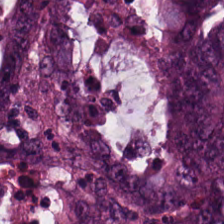FFPE · H&E stain — Finding → adenocarcinoma.
